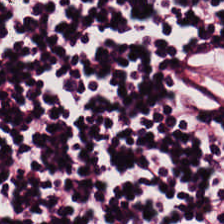Hematoxylin and eosin.
The predominant tissue is lymphoid infiltrate.
